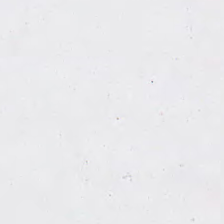Hematoxylin and eosin; brightfield microscopy; formalin-fixed paraffin-embedded section. Content = background.
